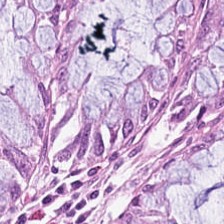Tissue: non-neoplastic colon mucosa.
